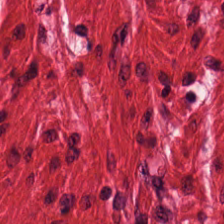Brightfield · hematoxylin and eosin — The tissue is smooth-muscle tissue.
